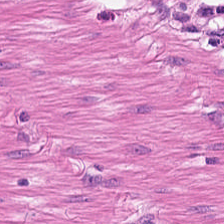Hematoxylin and eosin; 20× equivalent magnification; WSI patch — Q: What is the predominant tissue type?
A: It is muscularis.
